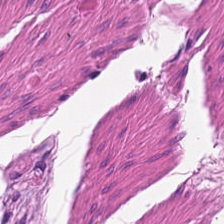Brightfield. Hematoxylin and eosin. Showing smooth-muscle tissue.
